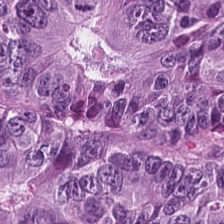20× equivalent magnification. H&E-stained tissue section. 224×224 pixel tile — Colorectal adenocarcinoma epithelium.
